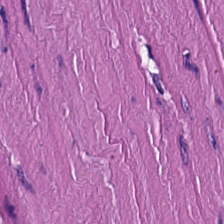Hematoxylin and eosin. Brightfield.
Smooth-muscle tissue.
